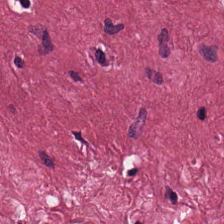Hematoxylin and eosin.
The tissue class is tumor-associated stroma.
